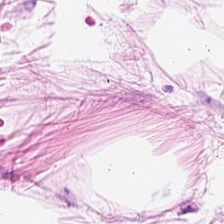Q: Classify this patch.
A: The field shows adipose tissue.
